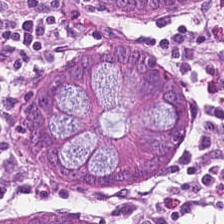H&E-stained tissue section · 224×224 px tile — Classification: non-neoplastic colon mucosa.
